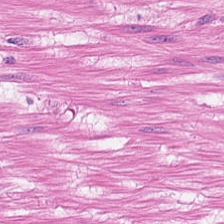Hematoxylin and eosin.
Predominantly smooth-muscle tissue.
